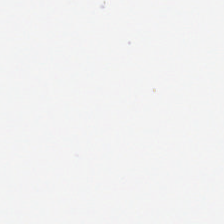Formalin-fixed paraffin-embedded section; hematoxylin and eosin.
Background — no tissue in this field.
